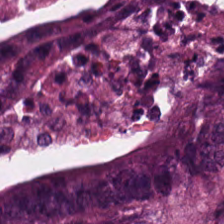The tissue here is colorectal adenocarcinoma epithelium.
